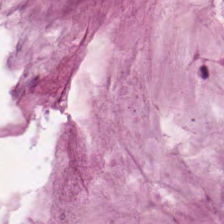Tissue class = mucin.
